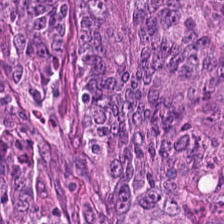H&E. Tumor epithelium.
